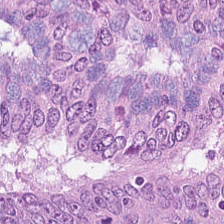Classification: malignant epithelium.
